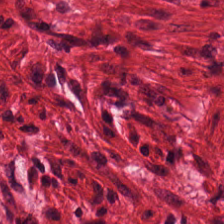20× equivalent magnification. Hematoxylin-and-eosin stained section. The predominant tissue is muscularis.
